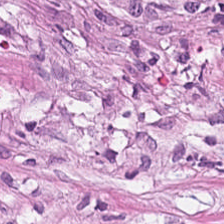H&E-stained tissue section — This patch shows tumor-associated stroma.
